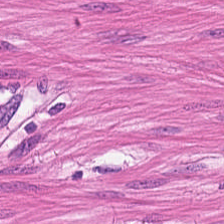224×224 pixel tile; H&E stain; 0.5 microns per pixel. Q: What is shown here?
A: It is smooth muscle.
